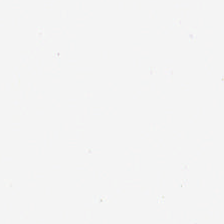0.5 µm per pixel · H&E stain. Empty field — empty background.
